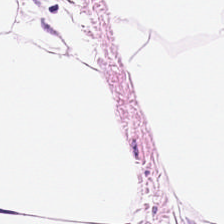H&E-stained tissue section. This patch shows adipose tissue.
